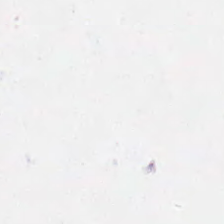H&E-stained tissue section.
Histology → background.
